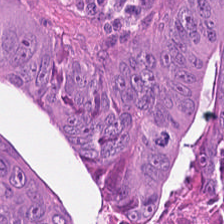Formalin-fixed paraffin-embedded section. 0.5 µm/px. Hematoxylin-and-eosin stained section — Tissue class — malignant epithelium.
